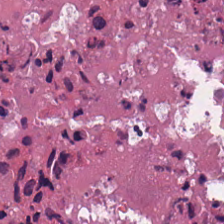H&E patch showing debris.
